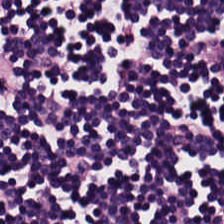H&E-stained tissue section.
Q: What is shown in this field?
A: This is lymphocyte aggregate.
